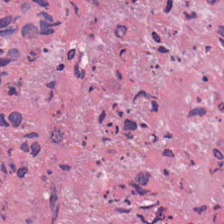Hematoxylin and eosin — Debris.
